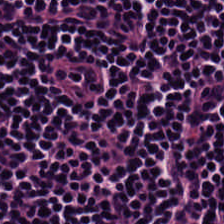H&E-stained tissue section — Tissue class: lymphocyte aggregate.
